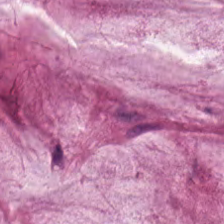Brightfield microscopy; H&E-stained tissue section; 0.5 microns per pixel.
The predominant tissue is mucus.
